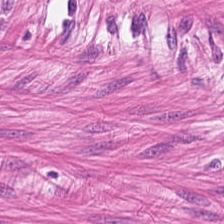H&E · 0.5 µm/px.
This field is smooth muscle.
